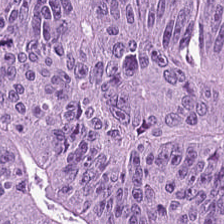H&E stain. Brightfield microscopy.
The predominant tissue is tumor epithelium.
